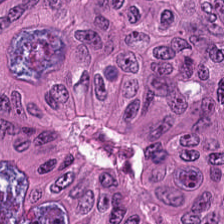Brightfield microscopy · hematoxylin-and-eosin stained section. This patch shows malignant epithelium.
